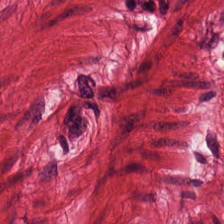Q: What is shown here?
A: Smooth-muscle tissue.
